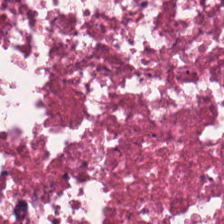Impression → debris.
